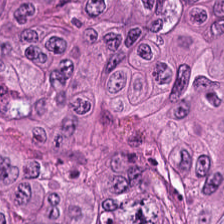H&E-stained tissue section. 0.5 microns per pixel — Impression — tumor epithelium.
